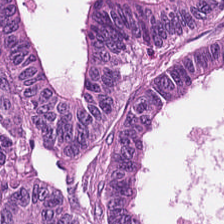Hematoxylin-and-eosin stained section.
This field is malignant epithelium.
